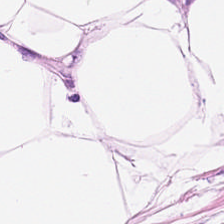H&E-stained tissue section. Formalin-fixed paraffin-embedded section. The predominant tissue is adipocytes.
